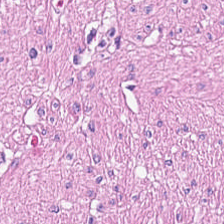Q: What is the predominant tissue type?
A: The field shows muscularis.
